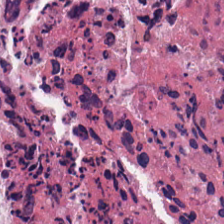H&E stain. 0.5 µm per pixel. Formalin-fixed paraffin-embedded section — Predominant tissue: necrotic debris.
